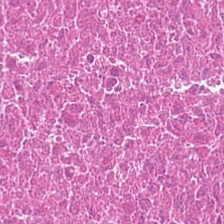Formalin-fixed paraffin-embedded section · 20× equivalent magnification · hematoxylin and eosin.
Tissue class — necrotic debris.
